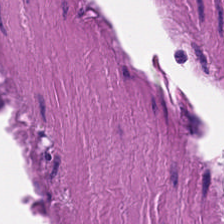Stain: H&E.
Classification: smooth muscle.
